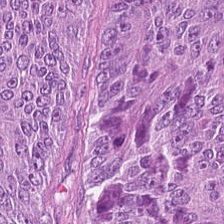FFPE · brightfield · hematoxylin-and-eosin stained section.
Tumor epithelium.
